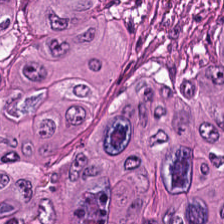Whole-slide-image patch · H&E. Tumor epithelium.
